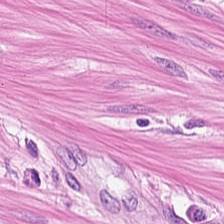Whole-slide-image patch; H&E stain.
Q: What does this patch show?
A: This is smooth muscle.
